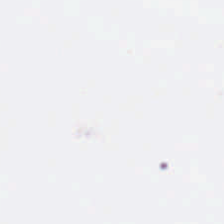Q: What is shown here?
A: It is empty background.
